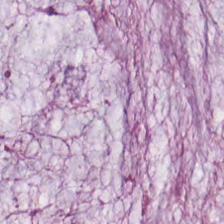H&E-stained tissue section. {"tissue_type": "mucus"}
